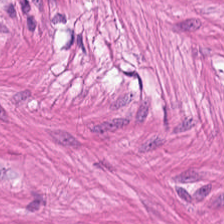224×224 px tile; H&E. Q: What is the predominant tissue type?
A: Smooth muscle.
